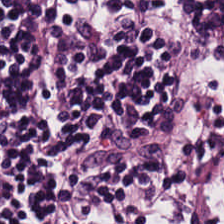Hematoxylin-and-eosin stained section. Q: What tissue type is shown here?
A: Lymphocytes.
